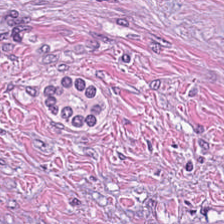The tissue here is tumor-associated stroma.
